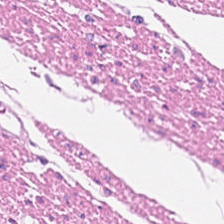H&E — Classification: smooth-muscle tissue.
